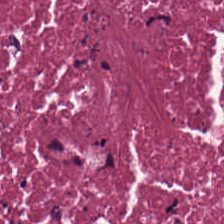Hematoxylin-and-eosin stained section. Formalin-fixed paraffin-embedded section.
Predominantly debris.
